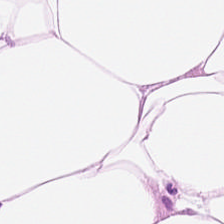Whole-slide-image patch; formalin-fixed paraffin-embedded section; hematoxylin and eosin. Predominant tissue = adipose.
